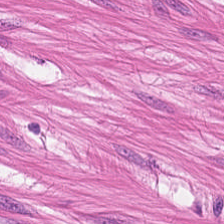Q: What is shown here?
A: It is smooth muscle.
